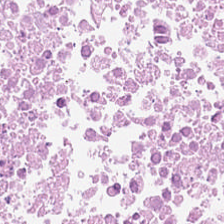0.5 µm/px; brightfield microscopy; H&E-stained tissue section. This field is necrotic debris.
